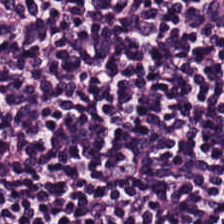H&E. The predominant tissue is lymphocytic infiltrate.
